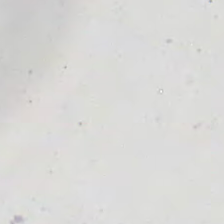Stain: hematoxylin-and-eosin stained section.
Acquisition: brightfield microscopy.
Tile size: 224×224 px tile.
Classification: no tissue.
